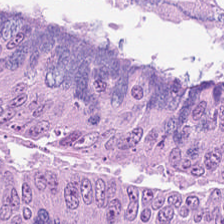0.5 µm per pixel; 224×224 px patch; H&E-stained tissue section.
Predominantly tumor epithelium.
